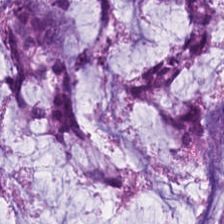H&E.
The predominant tissue is mucus.
